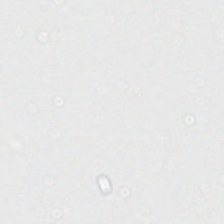0.5 µm/px. Hematoxylin and eosin. Background.
